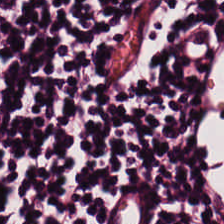0.5 µm/px; FFPE; hematoxylin-and-eosin stained section.
This patch shows lymphocyte aggregate.
